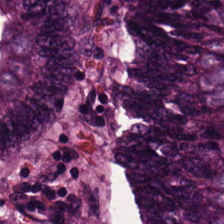0.5 µm/px; H&E-stained tissue section. Adenocarcinoma.
